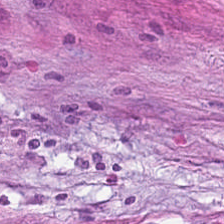Whole-slide-image patch. H&E-stained tissue section.
{"tissue_type": "tumor stroma"}
